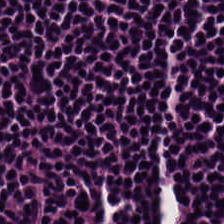Hematoxylin and eosin. The predominant tissue is lymphocytes.
